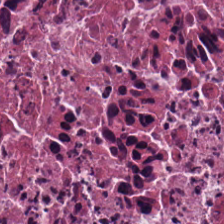Hematoxylin and eosin.
Impression → cellular debris.
